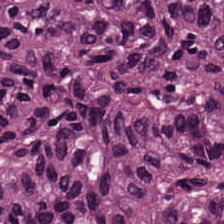Hematoxylin-and-eosin stained section. 0.5 microns per pixel.
The predominant tissue is malignant epithelium.
